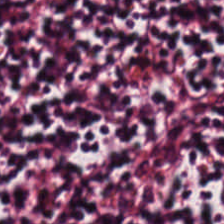H&E-stained tissue section. The tissue type is lymphocyte aggregate.
